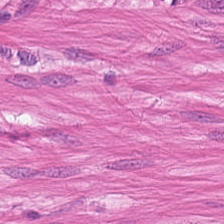Hematoxylin-and-eosin stained section. The predominant tissue is muscularis.
